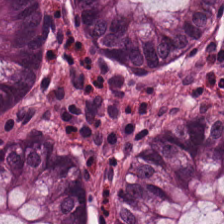Histology → normal colonic mucosa.
